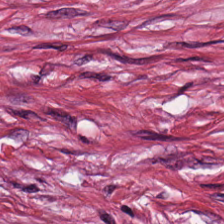H&E — desmoplastic stroma.
